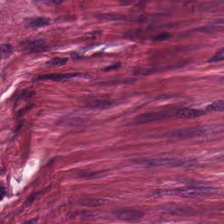H&E stain. Q: Identify the tissue.
A: This is desmoplastic stroma.
